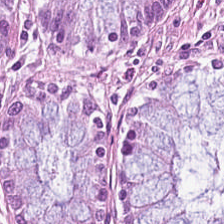H&E.
Tissue class: normal colon mucosa.
